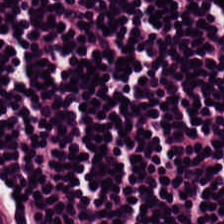Stain: H&E stain.
Acquisition: brightfield.
Predominant tissue: lymphocyte aggregate.
